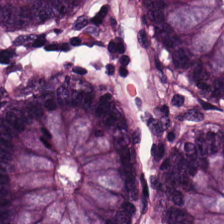Hematoxylin and eosin.
{"tissue_type": "normal colonic mucosa"}
